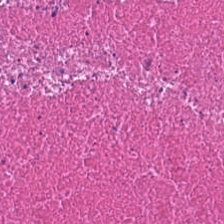Hematoxylin-and-eosin stained section.
The tissue class is necrotic debris.
